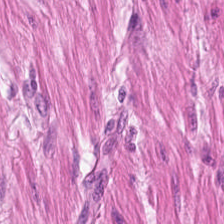H&E stain. This field is smooth muscle.
